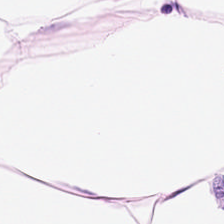H&E-stained tissue section — The tissue type is adipose.
